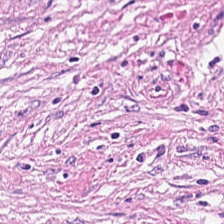Hematoxylin-and-eosin stained section.
The predominant tissue is tumor-associated stroma.
